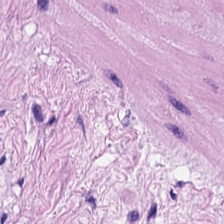Q: What type of tissue is this?
A: The field shows smooth muscle.
